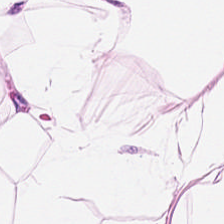0.5 µm per pixel · formalin-fixed paraffin-embedded section · hematoxylin and eosin.
The tissue here is adipose.
